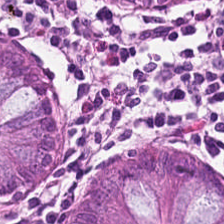H&E-stained section; the field shows normal colon mucosa.
